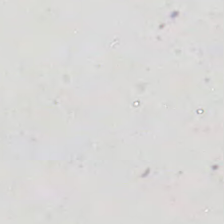Stain: H&E.
Acquisition: whole-slide-image patch.
Tile size: 224×224 px tile.
Content: no tissue.
